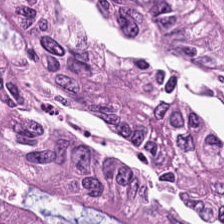WSI patch · H&E stain — The predominant tissue is adenocarcinoma.
